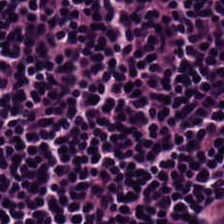Hematoxylin and eosin — Q: What is shown here?
A: It is lymphocytes.
